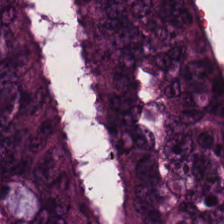Histology — malignant epithelium.
